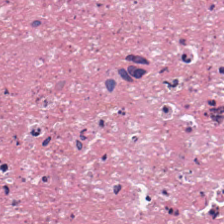H&E-stained section; the field shows cellular debris.
